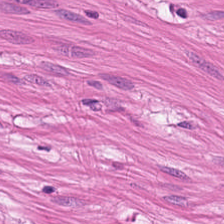H&E-stained tissue section — This field is muscularis.
